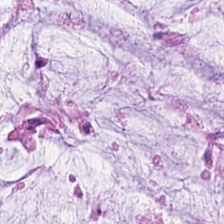H&E-stained tissue section. FFPE tissue section.
This patch shows mucin.
